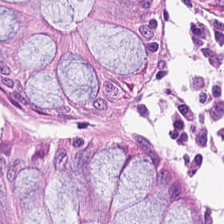H&E-stained section; the field shows normal colonic mucosa.
